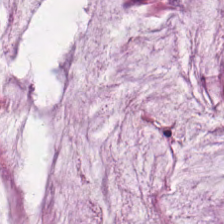FFPE tissue section; hematoxylin and eosin.
Finding — mucus.
